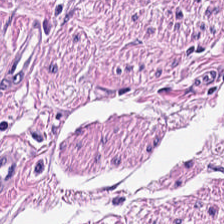Hematoxylin and eosin — {"tissue_type": "muscularis"}
